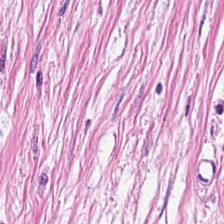Hematoxylin-and-eosin stained section.
Impression — tumor-associated stroma.
